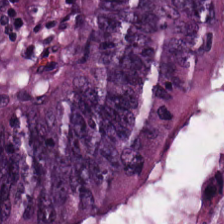20× equivalent magnification. H&E.
This patch shows adenocarcinoma.
